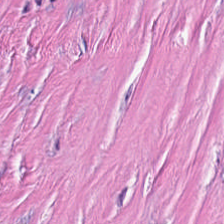{"tissue_type": "cancer-associated stroma"}
